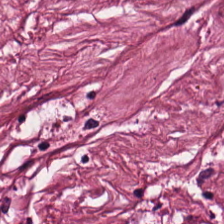Whole-slide-image patch · H&E · 0.5 microns per pixel — Tissue class — tumor stroma.
